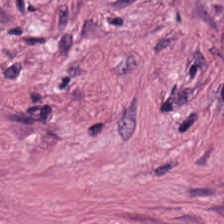Hematoxylin and eosin. 224×224 px patch.
Tumor stroma.
